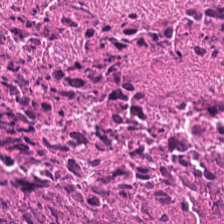Hematoxylin-and-eosin stained section. 224×224 px tile — Tissue class: necrotic debris.
